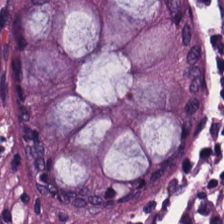H&E stain. Q: What is the predominant tissue type?
A: This is benign colonic mucosa.
